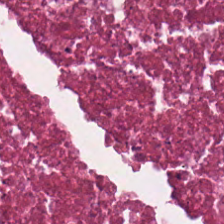H&E stain; FFPE.
The predominant tissue is necrotic debris.
